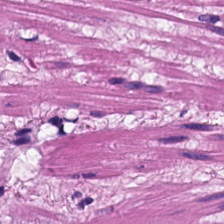Impression → muscularis.
